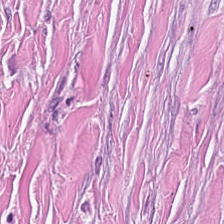Hematoxylin-and-eosin stained section — Q: Classify this patch.
A: It is desmoplastic stroma.
